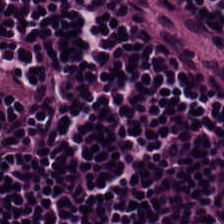20× equivalent magnification · hematoxylin and eosin.
Showing lymphoid infiltrate.
